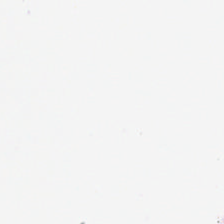Hematoxylin-and-eosin stained section; 0.5 µm/px; 224×224 pixel tile — Field content — empty background.
